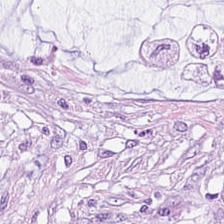FFPE. Hematoxylin and eosin — The tissue class is mucin.
